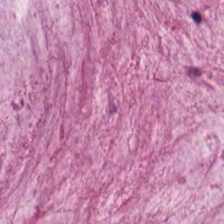Finding → mucin.
